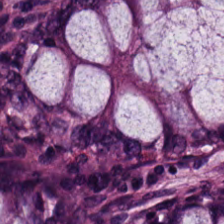H&E stain — This field is benign colonic mucosa.
